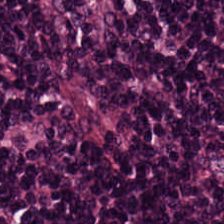Hematoxylin and eosin. Brightfield.
The tissue class is lymphocytes.
